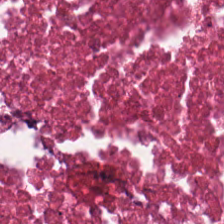Stain: H&E stain.
Acquisition: brightfield.
Resolution: 0.5 µm per pixel.
Tissue class: debris.
